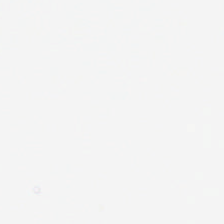Hematoxylin and eosin. Brightfield. Formalin-fixed paraffin-embedded section. Background — no tissue in this field.
